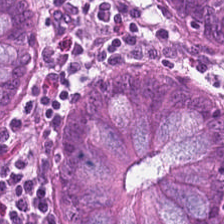Stain: hematoxylin-and-eosin stained section.
Tile size: 224×224 px tile.
Tissue type: non-neoplastic colon mucosa.
